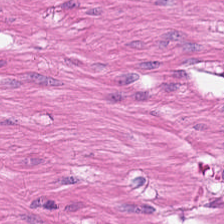H&E-stained tissue section. Predominantly smooth muscle.
